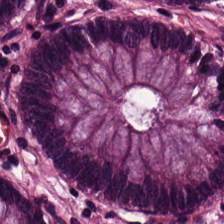Classification = non-neoplastic colon mucosa.
